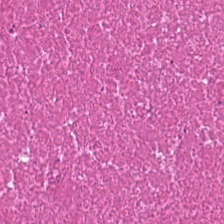H&E stain — Showing cellular debris.
